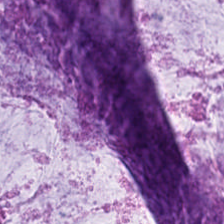Hematoxylin and eosin.
Histology → extracellular mucin.
